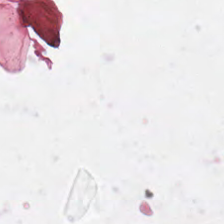Hematoxylin-and-eosin stained section.
Field content = background.
